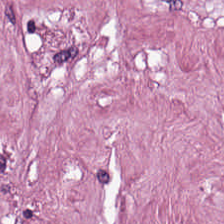Hematoxylin-and-eosin stained section. Formalin-fixed paraffin-embedded section — Predominant tissue: cancer-associated stroma.
